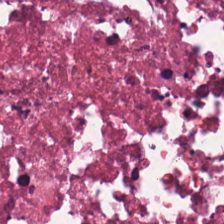Hematoxylin-and-eosin stained section.
The predominant tissue is debris.
